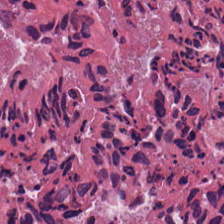Hematoxylin and eosin — This field is debris.
